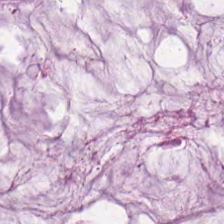224×224 px patch. Hematoxylin-and-eosin stained section. Impression — mucus.
